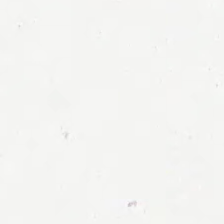H&E stain. 20× equivalent magnification — Empty field — no tissue.
